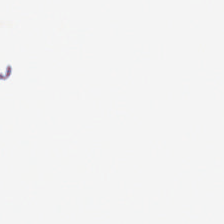H&E.
The content is background (no tissue).
